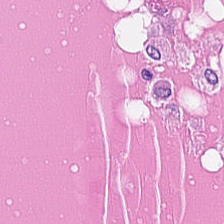WSI patch; 224×224 px patch; H&E-stained tissue section — Cellular debris.
